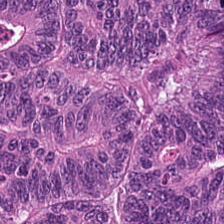The predominant tissue is adenocarcinoma.
